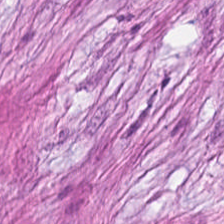Impression — tumor-associated stroma.
